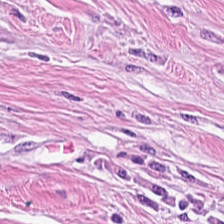Hematoxylin and eosin.
Tissue class: tumor stroma.
